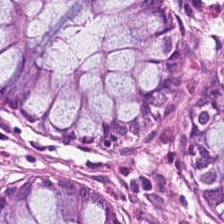H&E — The tissue type is normal colonic mucosa.
